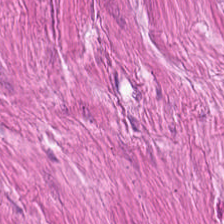20× equivalent magnification. H&E stain — Predominant tissue = smooth muscle.
